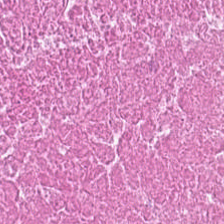20× equivalent magnification · H&E-stained tissue section — Finding — debris.
